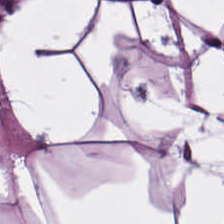H&E — adipose tissue.
